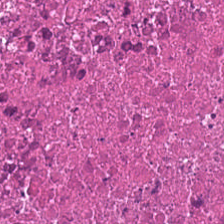224×224 pixel tile · H&E-stained tissue section · whole-slide-image patch. Classification = necrotic debris.
